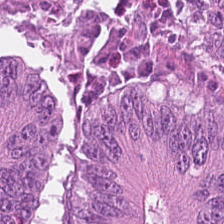H&E stain.
The predominant tissue is tumor epithelium.
